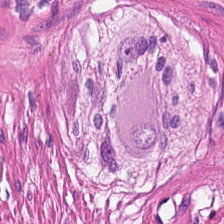H&E-stained tissue section — The tissue here is smooth muscle.
